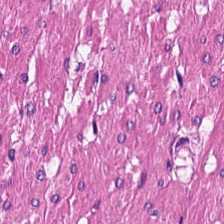Q: What tissue is shown?
A: The field shows muscularis.
